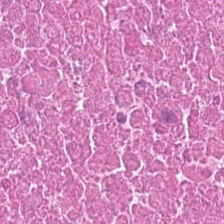Hematoxylin-and-eosin stained section. Cellular debris.
